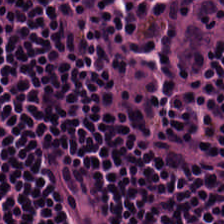H&E stain.
Histology → lymphocytes.
